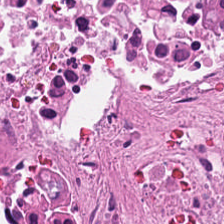0.5 µm/px · FFPE tissue section · H&E stain. Q: What is the predominant tissue type?
A: This is necrotic debris.
